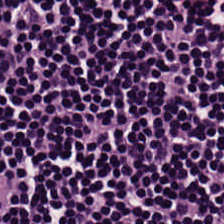H&E stain — Showing lymphocytic infiltrate.
